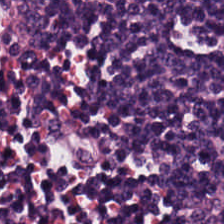Hematoxylin and eosin. Lymphoid infiltrate.
